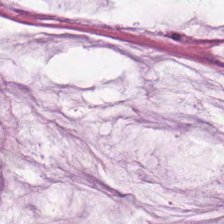FFPE tissue section · hematoxylin and eosin. Predominantly extracellular mucin.
